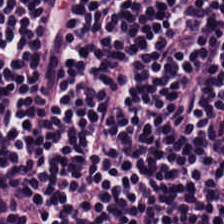Brightfield; H&E stain.
Tissue class: lymphocyte aggregate.
